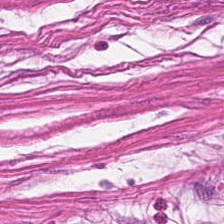0.5 microns per pixel; H&E stain. Histology — smooth-muscle tissue.
